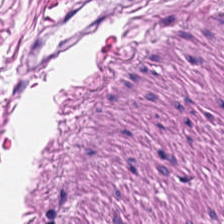0.5 microns per pixel · H&E. The tissue here is muscularis.
